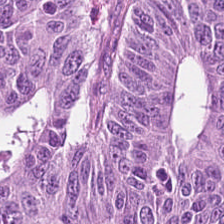Hematoxylin-and-eosin stained section. 224×224 pixel tile. Brightfield — This field is malignant epithelium.
